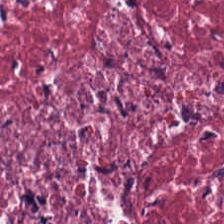Hematoxylin-and-eosin stained section; formalin-fixed paraffin-embedded section — The tissue here is tumor-associated stroma.
